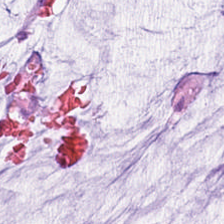Q: Classify this patch.
A: Mucus.
